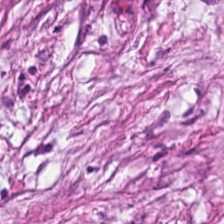Stain: H&E.
Predominant tissue: tumor-associated stroma.
